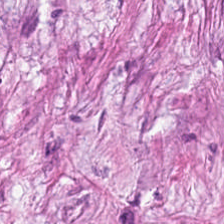Hematoxylin and eosin. This patch shows tumor stroma.
